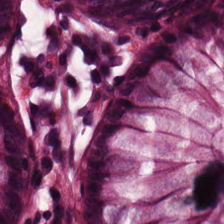Stain: H&E.
Predominant tissue: non-neoplastic colon mucosa.
